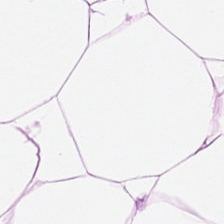H&E stain. 224×224 px tile.
Histology — fat tissue.
